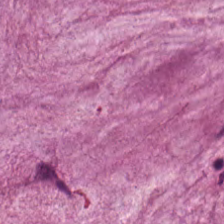Hematoxylin-and-eosin stained section; WSI patch; 224×224 pixel tile. Histology → extracellular mucin.
